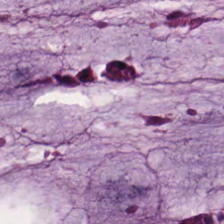H&E.
Predominantly extracellular mucin.
